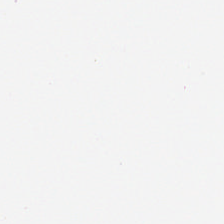{"content": "empty background"}
